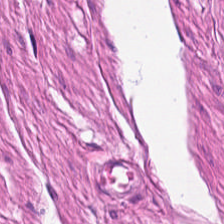H&E-stained tissue section. This patch shows smooth-muscle tissue.
